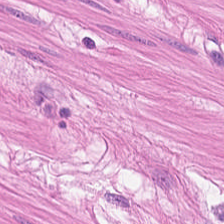WSI patch; H&E stain — This field is smooth-muscle tissue.
